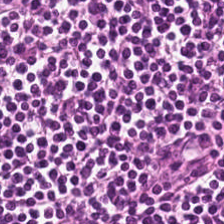Hematoxylin-and-eosin stained section — Histology — lymphoid infiltrate.
